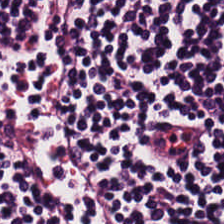H&E. Predominantly lymphocytes.
